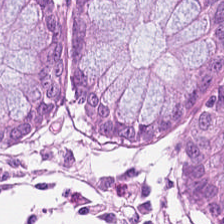Tissue = non-neoplastic colon mucosa.
